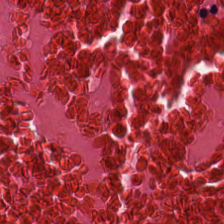Hematoxylin and eosin. Brightfield microscopy. 224×224 pixel tile. Q: What is shown in this field?
A: It is cellular debris.
